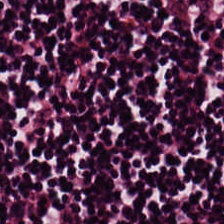Tissue = lymphocytes.
